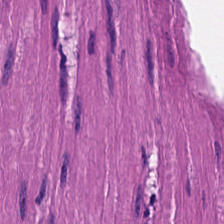Hematoxylin-and-eosin stained section · 224×224 pixel tile.
Q: What does this patch show?
A: This is smooth-muscle tissue.
